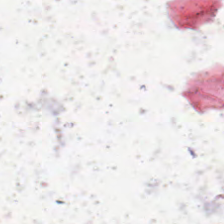Hematoxylin-and-eosin stained section; WSI patch; FFPE tissue section — This field is background (no tissue).
